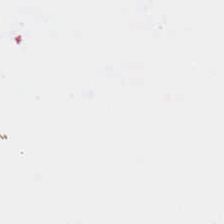H&E stain · 224×224 px tile.
{"content": "background (no tissue)"}
